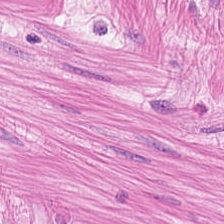Brightfield microscopy. Hematoxylin and eosin. Predominantly muscularis.
